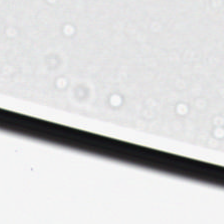H&E.
Background — no tissue in this field.
